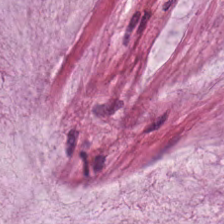H&E stain — Q: What does this patch show?
A: The field shows extracellular mucin.
